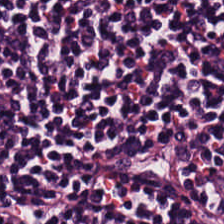H&E stain · 20× equivalent magnification.
Tissue type = lymphocyte aggregate.
